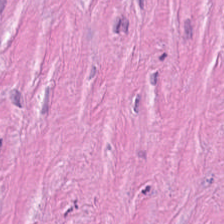H&E-stained tissue section.
Impression → tumor stroma.
